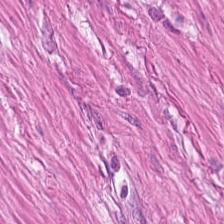Hematoxylin-and-eosin stained section.
Smooth-muscle tissue.
